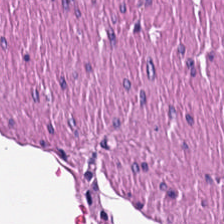H&E. FFPE — Histology — smooth-muscle tissue.
